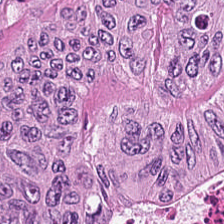0.5 microns per pixel; H&E stain; 224×224 pixel tile — Tissue type — adenocarcinoma.
